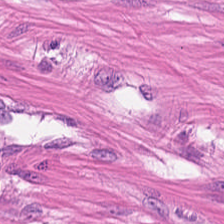H&E — This patch shows muscularis.
